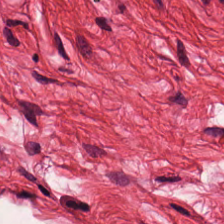Stain: hematoxylin and eosin.
Tissue: smooth-muscle tissue.
